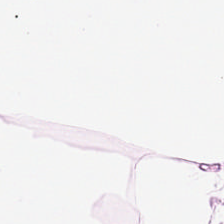Showing adipose.
